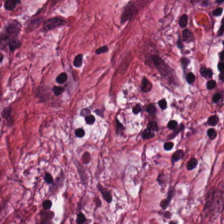Hematoxylin-and-eosin section: tumor-associated stroma.
